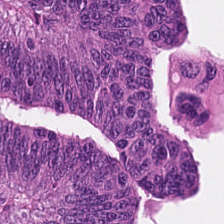Hematoxylin-and-eosin stained section.
Q: What tissue type is shown here?
A: Adenocarcinoma.
